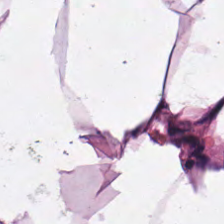This field is adipose tissue.
